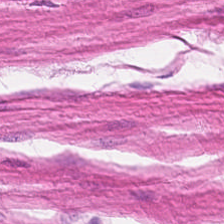The tissue here is smooth muscle.
